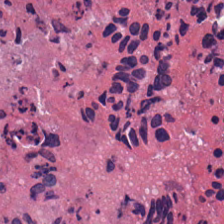H&E stain · whole-slide-image patch — Cellular debris.
